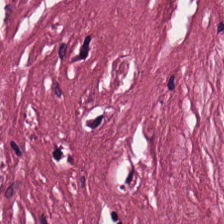H&E stain. Q: Identify the tissue.
A: This is tumor stroma.
